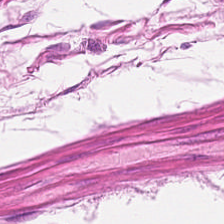Stain: H&E stain.
Tissue: smooth-muscle tissue.
